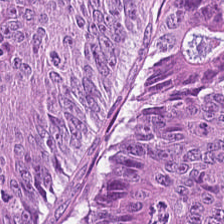Brightfield microscopy. H&E. Q: What tissue is shown?
A: Colorectal adenocarcinoma epithelium.
